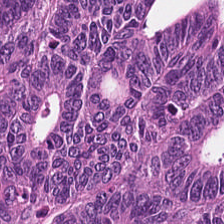H&E-stained section; the field shows tumor epithelium.
